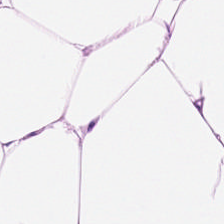0.5 microns per pixel. FFPE. Hematoxylin-and-eosin stained section. Predominantly adipose tissue.
